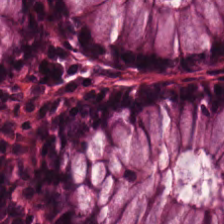H&E-stained tissue section.
Q: What is shown in this field?
A: The field shows non-neoplastic colon mucosa.
